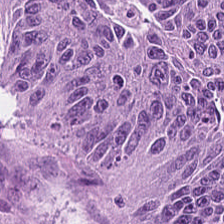WSI patch; hematoxylin and eosin. This field is colorectal adenocarcinoma.
